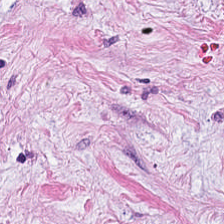Hematoxylin and eosin. This field is tumor stroma.
